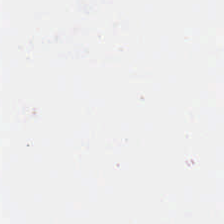H&E stain — This patch shows background (no tissue).
